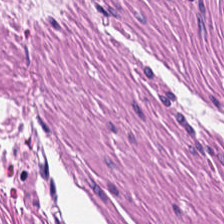Predominantly smooth-muscle tissue.
